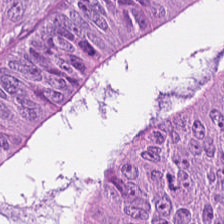H&E stain. The tissue class is malignant epithelium.
